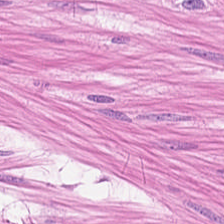FFPE; H&E-stained tissue section.
Histology — smooth muscle.
